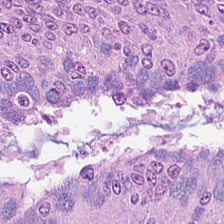Stain: hematoxylin-and-eosin stained section.
Predominant tissue: malignant epithelium.
